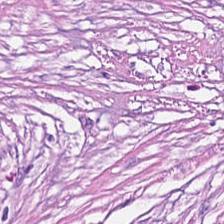H&E stain. 224×224 px patch. FFPE — Q: Identify the tissue.
A: It is tumor stroma.
